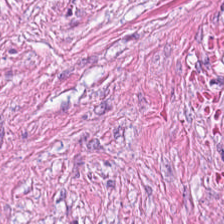H&E stain. The predominant tissue is desmoplastic stroma.
